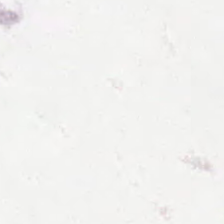H&E-stained tissue section — Q: What does this patch show?
A: It is background.
